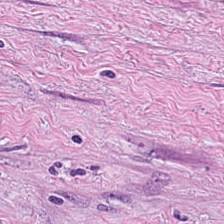Impression — tumor stroma.
